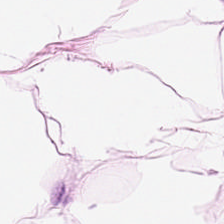H&E-stained tissue section. Fat tissue.
